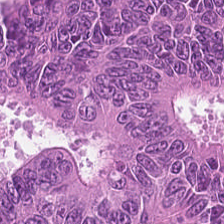Showing tumor epithelium.
